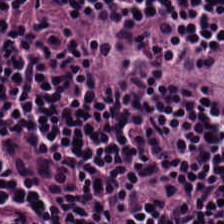WSI patch. H&E-stained tissue section. 20× equivalent magnification.
Tissue = lymphocytes.
